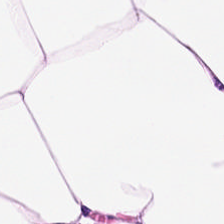H&E-stained tissue section — The tissue class is fat tissue.
